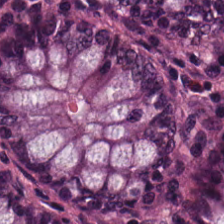H&E stain — Classification: non-neoplastic colon mucosa.
